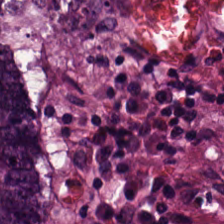Finding — colorectal adenocarcinoma epithelium.
